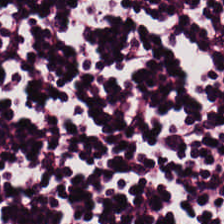H&E-stained tissue section. Brightfield. Q: What is shown here?
A: This is lymphoid infiltrate.
